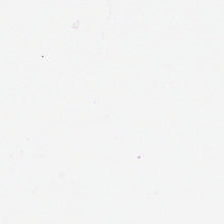Stain: H&E.
Acquisition: WSI patch.
Resolution: 0.5 µm per pixel.
Field content: no tissue.
